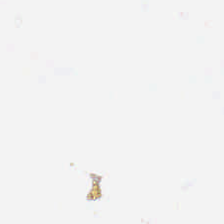Q: What is shown here?
A: It is no tissue.
